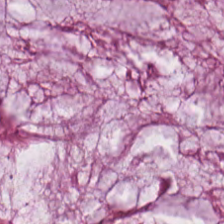Hematoxylin-and-eosin stained section. Q: What tissue type is shown here?
A: It is mucus.
